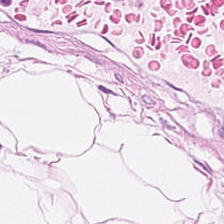Fat tissue.
